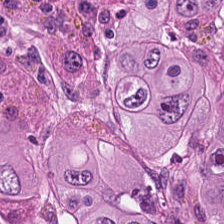H&E-stained tissue section — The tissue class is adenocarcinoma.
